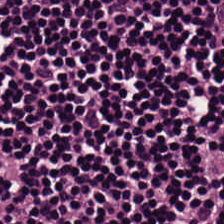H&E stain. 20× equivalent magnification.
Showing lymphocytes.
